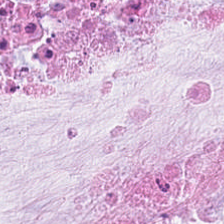H&E stain.
Showing mucus.
